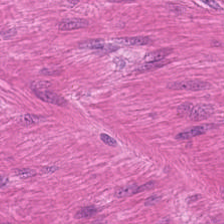Stain: hematoxylin and eosin.
Acquisition: whole-slide-image patch.
Classification: smooth-muscle tissue.
